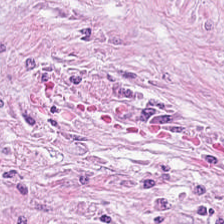Hematoxylin and eosin. Histology → tumor stroma.
